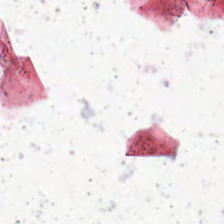H&E-stained tissue section. Classification: background (no tissue).
